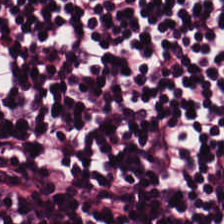H&E stain.
The tissue here is lymphocytic infiltrate.
